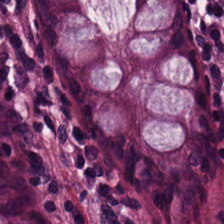Hematoxylin and eosin — Tissue class — non-neoplastic colon mucosa.
